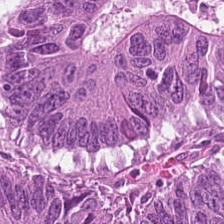H&E-stained tissue section.
Showing malignant epithelium.
